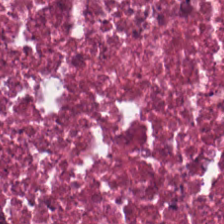H&E-stained tissue section — Predominantly cellular debris.
